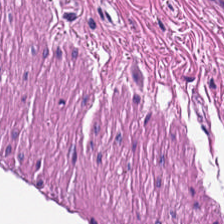H&E-stained tissue section — Tissue class — smooth muscle.
